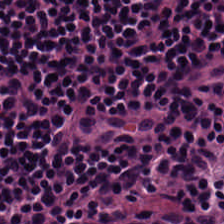H&E. Q: What is shown in this field?
A: It is lymphocytic infiltrate.
